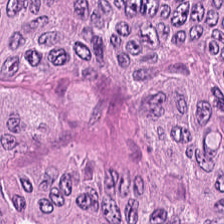Predominantly malignant epithelium.
